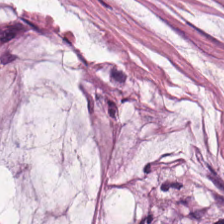H&E-stained tissue section. The predominant tissue is mucin.
